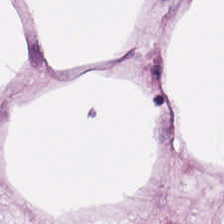Formalin-fixed paraffin-embedded section; H&E. The predominant tissue is adipose.
